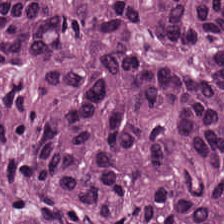H&E-stained tissue section; whole-slide-image patch.
The classification is colorectal adenocarcinoma epithelium.
